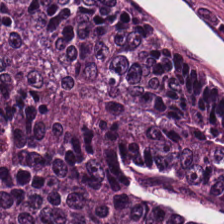H&E. The predominant tissue is adenocarcinoma.
